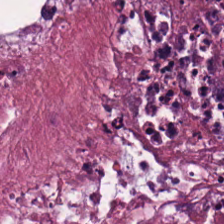0.5 µm/px · H&E. The tissue type is necrotic debris.
